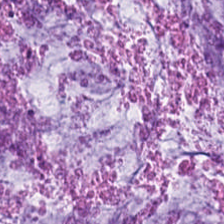H&E stain; 224×224 px tile; formalin-fixed paraffin-embedded section — Impression → extracellular mucin.
